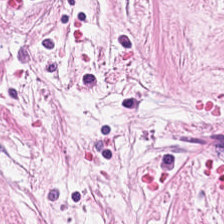H&E — Tumor-associated stroma.
